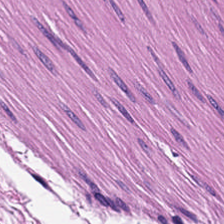H&E stain — This field is smooth muscle.
